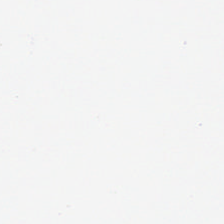The content is background.
